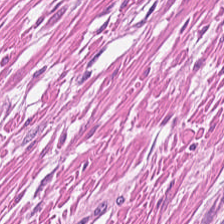Whole-slide-image patch. 224×224 pixel tile. H&E stain. Showing smooth muscle.
